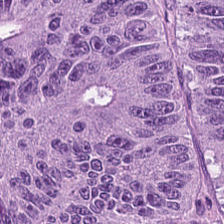224×224 px patch; H&E stain.
Classification = colorectal adenocarcinoma.
